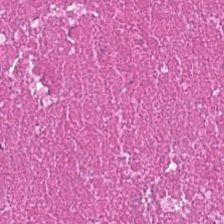H&E stain.
Showing debris.
